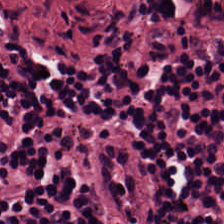Stain: hematoxylin and eosin.
Predominant tissue: lymphoid infiltrate.
